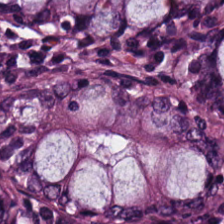H&E. The tissue here is normal colonic mucosa.
